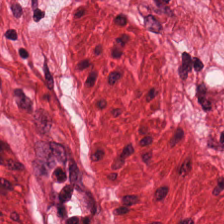Hematoxylin-and-eosin stained section. 224×224 px tile. Q: Classify this patch.
A: Smooth-muscle tissue.
